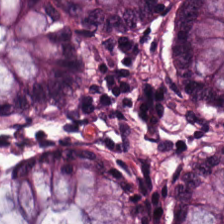224×224 pixel tile. FFPE. H&E.
Classification: non-neoplastic colon mucosa.
